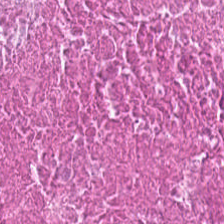The tissue here is cellular debris.
